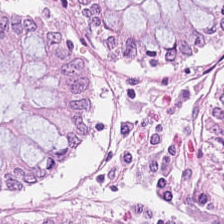H&E. Q: What type of tissue is this?
A: Normal colon mucosa.
